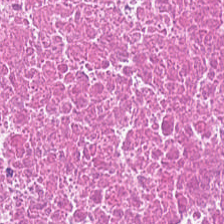Stain: H&E stain.
Preparation: formalin-fixed paraffin-embedded section.
Tissue class: debris.
